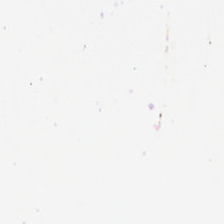Hematoxylin and eosin. No tissue present; background only.
